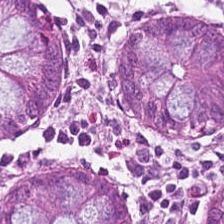H&E; 0.5 µm per pixel.
The predominant tissue is normal colon mucosa.
